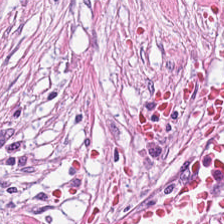Hematoxylin-and-eosin stained section. 0.5 µm per pixel. Tumor stroma.
